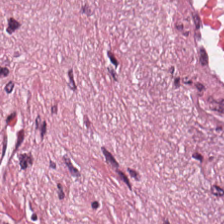H&E patch showing tumor stroma.
